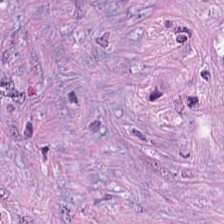H&E-stained tissue section; formalin-fixed paraffin-embedded section. The tissue is desmoplastic stroma.
